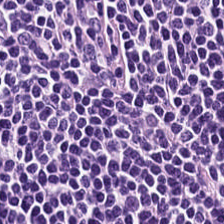The predominant tissue is lymphocytes.
